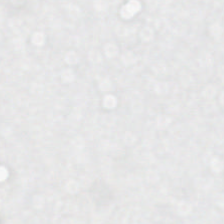FFPE; hematoxylin-and-eosin stained section; 20× equivalent magnification.
No tissue present; background only.
